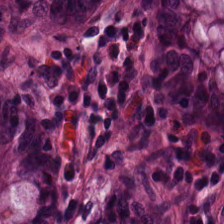The tissue class is benign colonic mucosa.
